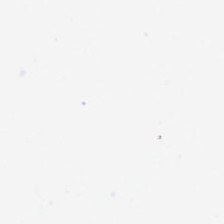Hematoxylin and eosin.
Q: What is shown here?
A: This is no tissue.
